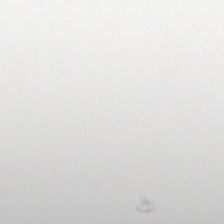H&E · formalin-fixed paraffin-embedded section. Classification = empty background.
